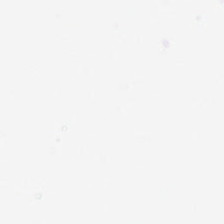Hematoxylin-and-eosin stained section.
Q: What is shown in this field?
A: The field shows no tissue.
